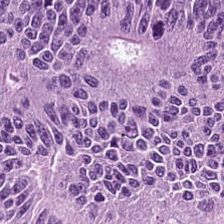Hematoxylin and eosin — The tissue is adenocarcinoma.
